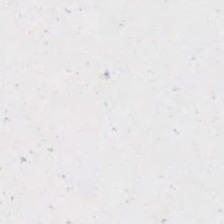224×224 px patch; H&E stain.
Content — no tissue.
